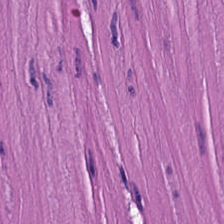H&E-stained tissue section. Q: Identify the tissue.
A: Smooth muscle.
